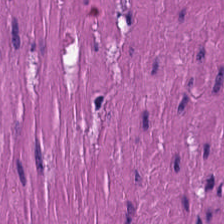Formalin-fixed paraffin-embedded section. Hematoxylin-and-eosin stained section. 224×224 px tile. Histology → smooth muscle.
